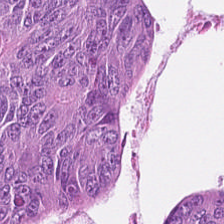0.5 µm/px. Hematoxylin and eosin.
Q: Identify the tissue.
A: This is adenocarcinoma.
